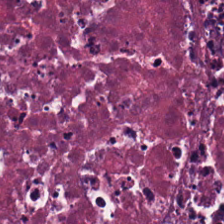The tissue here is necrotic debris.
